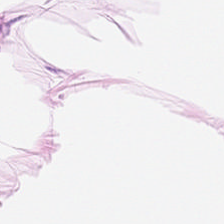H&E-stained tissue section. Whole-slide-image patch. FFPE tissue section — This patch shows fat tissue.
